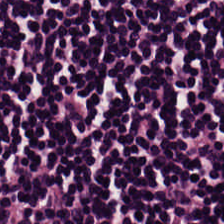The classification is lymphocyte aggregate.
